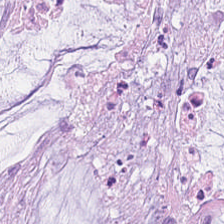H&E · 0.5 µm per pixel. Tissue = mucus.
